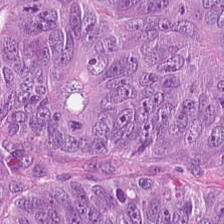0.5 microns per pixel. Hematoxylin and eosin — Histology → adenocarcinoma.
